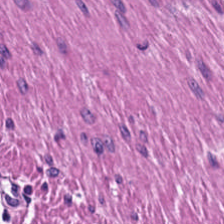Hematoxylin-and-eosin stained section.
Impression — smooth-muscle tissue.
